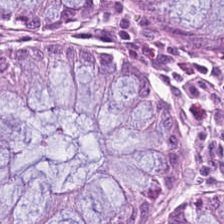FFPE; H&E-stained tissue section. The tissue class is normal colonic mucosa.
